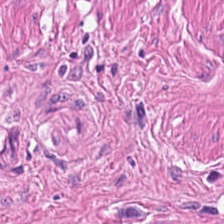0.5 µm per pixel · brightfield · H&E. This field is smooth-muscle tissue.
